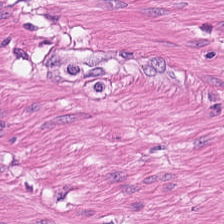H&E-stained tissue section — Q: Classify this patch.
A: This is muscularis.
